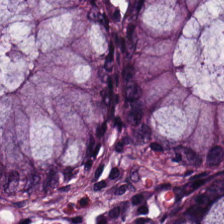Hematoxylin and eosin — Q: What tissue is shown?
A: It is benign colonic mucosa.
